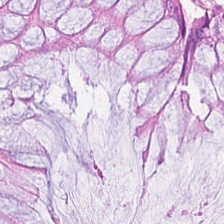H&E. Q: Classify this patch.
A: This is non-neoplastic colon mucosa.
